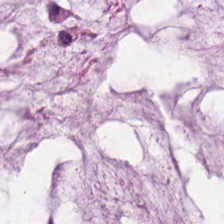Hematoxylin-and-eosin stained section — This field is mucus.
